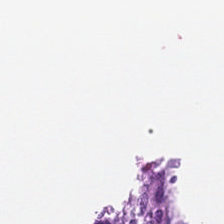The field content is background.
